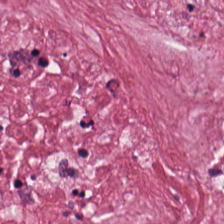FFPE · hematoxylin and eosin — Classification = tumor-associated stroma.
